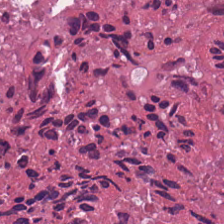H&E. Q: What does this patch show?
A: The field shows debris.
